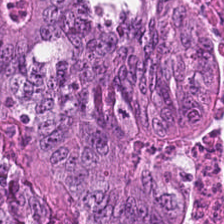Hematoxylin and eosin. 224×224 px patch. Showing malignant epithelium.
